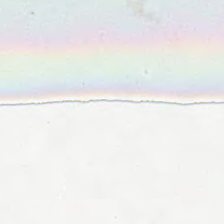This patch shows no tissue.
